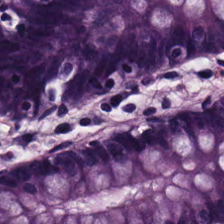Hematoxylin-and-eosin stained section; brightfield — The tissue class is benign colonic mucosa.
